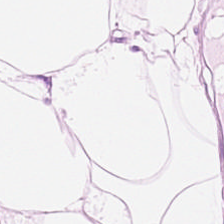H&E.
Q: Identify the tissue.
A: Adipose.
